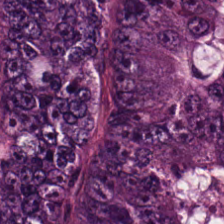20× equivalent magnification; H&E stain. Predominantly malignant epithelium.
